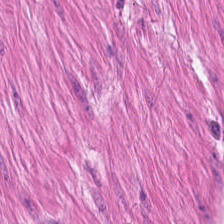FFPE tissue section · H&E · 224×224 pixel tile. Histology — muscularis.
